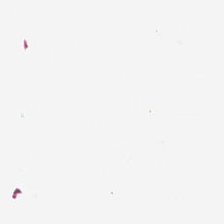Hematoxylin-and-eosin stained section · brightfield microscopy.
This patch shows background.
